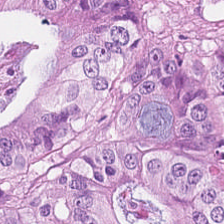Brightfield; H&E-stained tissue section; 0.5 µm per pixel. Finding → colorectal adenocarcinoma epithelium.
